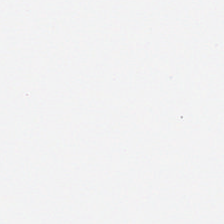FFPE tissue section · hematoxylin and eosin · brightfield microscopy. Finding → empty background.
